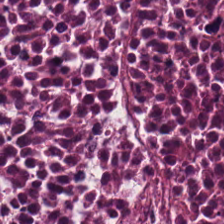H&E-stained tissue section.
Tissue: necrotic debris.
